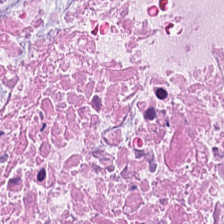H&E stain — Histology → necrotic debris.
